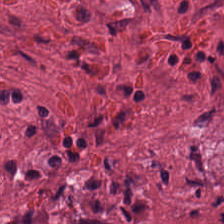H&E-stained tissue section.
This patch shows cancer-associated stroma.
